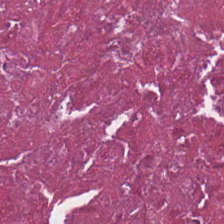H&E — Finding → cellular debris.
